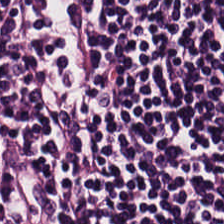Hematoxylin and eosin.
Impression → lymphocytic infiltrate.
